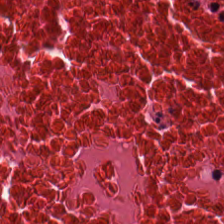Stain: hematoxylin and eosin.
Resolution: 0.5 µm per pixel.
Tissue type: necrotic debris.
